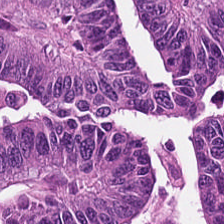Formalin-fixed paraffin-embedded section. Hematoxylin-and-eosin stained section — This patch shows colorectal adenocarcinoma epithelium.
